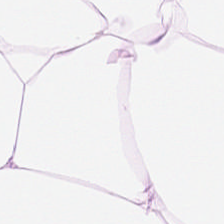H&E. Whole-slide-image patch. 0.5 microns per pixel — Impression — fat tissue.
